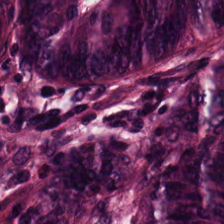Stain: H&E-stained tissue section.
Classification: colorectal adenocarcinoma epithelium.
